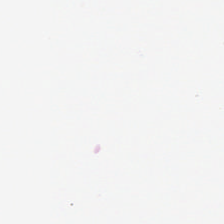This patch shows background (no tissue).
